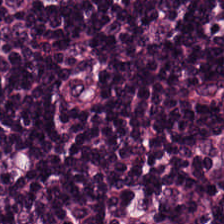Brightfield · 224×224 pixel tile · H&E stain.
This patch shows lymphoid infiltrate.
